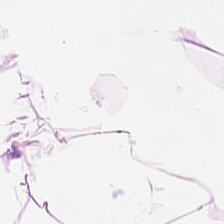Hematoxylin-and-eosin stained section. Impression → adipose tissue.
